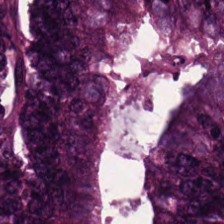H&E-stained tissue section.
Q: What is shown in this field?
A: It is colorectal adenocarcinoma.
